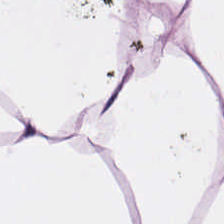FFPE; 0.5 µm/px; hematoxylin and eosin.
This field is fat tissue.
